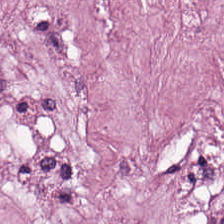Stain: H&E-stained tissue section.
Classification: desmoplastic stroma.
